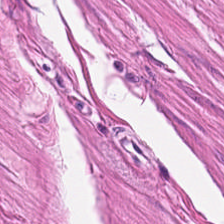H&E patch showing smooth-muscle tissue.
